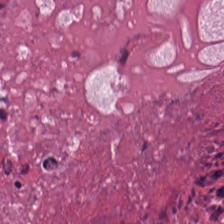H&E-stained tissue section. FFPE tissue section. {"tissue_type": "debris"}
